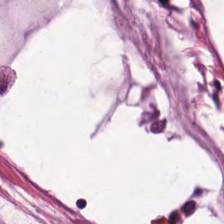The tissue here is mucus.
